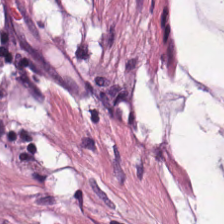Impression — mucin.
